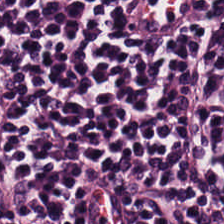Brightfield microscopy · H&E. Predominantly lymphoid infiltrate.
